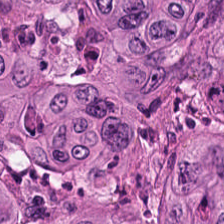Hematoxylin-and-eosin stained section. Q: What does this patch show?
A: The field shows colorectal adenocarcinoma epithelium.
